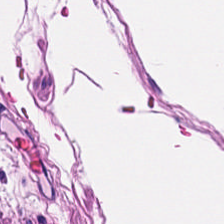H&E stain.
Predominant tissue = muscularis.
